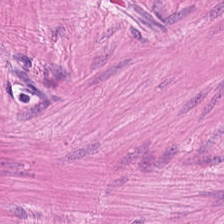H&E-stained tissue section. Whole-slide-image patch. This patch shows smooth muscle.
